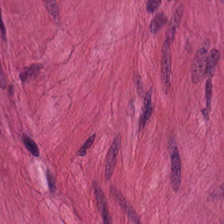H&E-stained tissue section.
Tissue class = smooth-muscle tissue.
